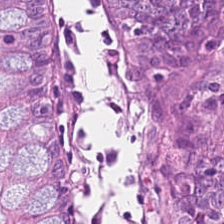0.5 µm/px. Hematoxylin and eosin. WSI patch. {"tissue_type": "benign colonic mucosa"}
